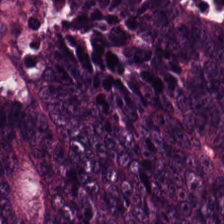Stain: hematoxylin-and-eosin stained section.
Acquisition: WSI patch.
Tile size: 224×224 px patch.
Tissue type: colorectal adenocarcinoma.
